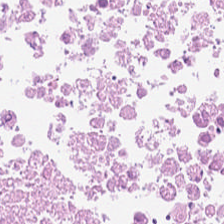Hematoxylin and eosin · FFPE. Predominant tissue — debris.
